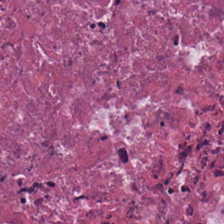Hematoxylin-and-eosin section: debris.
